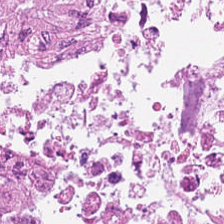224×224 px tile · hematoxylin-and-eosin stained section · 0.5 µm per pixel — Showing colorectal adenocarcinoma.
